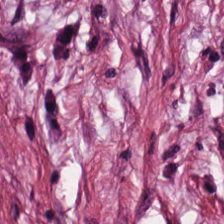Brightfield · hematoxylin and eosin — The tissue here is tumor stroma.
